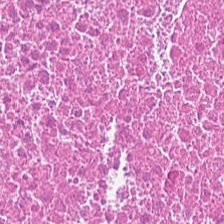Classification: debris.
